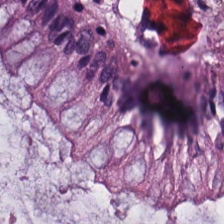Formalin-fixed paraffin-embedded section · hematoxylin and eosin. Predominant tissue: benign colonic mucosa.
